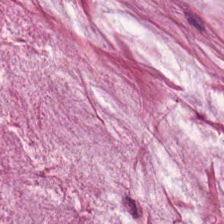The predominant tissue is extracellular mucin.
